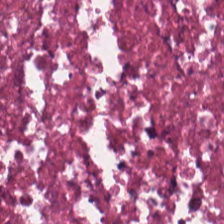H&E stain; 0.5 µm/px; 224×224 pixel tile.
Predominantly cellular debris.
